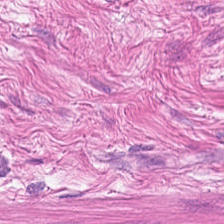Predominant tissue = muscularis.
